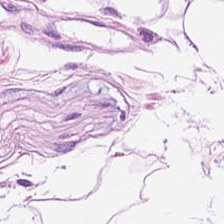H&E-stained tissue section — {"tissue_type": "adipocytes"}
